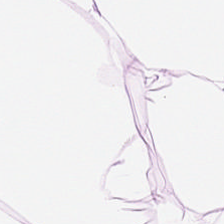WSI patch; H&E-stained tissue section; 224×224 px tile. Tissue type = adipose tissue.
